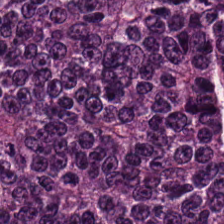Hematoxylin and eosin. This field is malignant epithelium.
